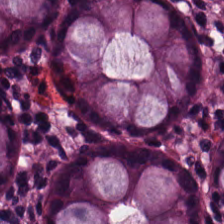This field is normal colon mucosa.
